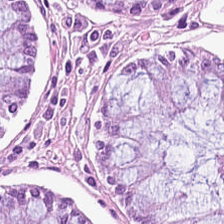Hematoxylin and eosin — Q: What does this patch show?
A: Non-neoplastic colon mucosa.
